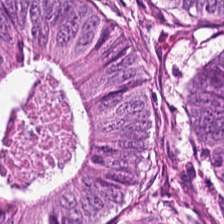0.5 microns per pixel · H&E-stained tissue section — Finding — colorectal adenocarcinoma.
